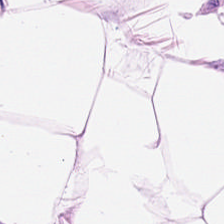Q: What type of tissue is this?
A: Adipocytes.
